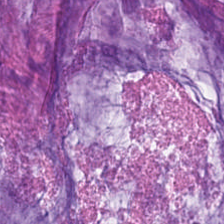Histology — mucin.
